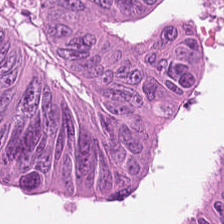Hematoxylin and eosin.
Predominantly adenocarcinoma.
